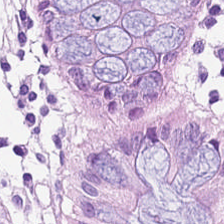Hematoxylin and eosin · 224×224 px patch. The tissue here is non-neoplastic colon mucosa.
